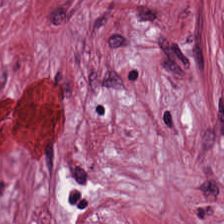0.5 microns per pixel · H&E stain. Classification: desmoplastic stroma.
